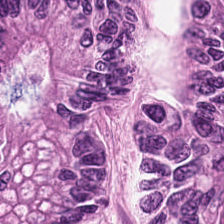H&E patch showing malignant epithelium.
